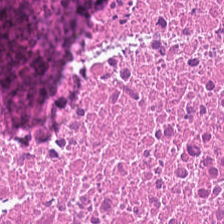H&E-stained tissue section.
Showing cellular debris.
